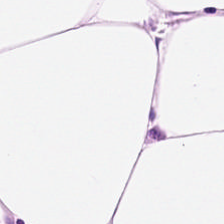Stain: hematoxylin and eosin.
Tissue type: adipose tissue.
